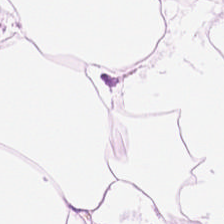H&E stain · 224×224 pixel tile — {"tissue_type": "fat tissue"}
